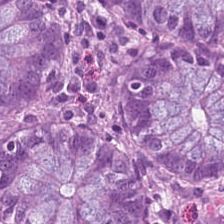The tissue type is normal colon mucosa.
